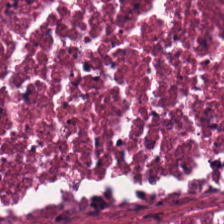FFPE tissue section; hematoxylin-and-eosin stained section — Impression → necrotic debris.
